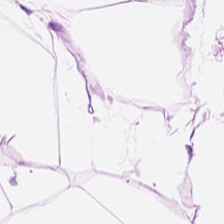H&E.
Fat tissue.
